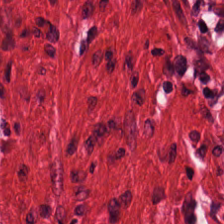H&E-stained tissue section. Tissue type = smooth-muscle tissue.
